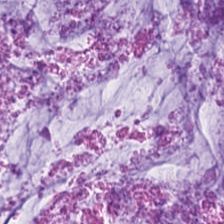Hematoxylin and eosin; 224×224 px patch — Q: What tissue type is shown here?
A: The field shows mucus.
